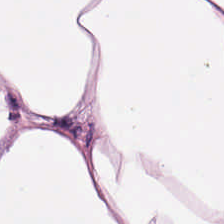Whole-slide-image patch. 224×224 px tile. H&E-stained tissue section.
Q: What is shown here?
A: The field shows adipose.
